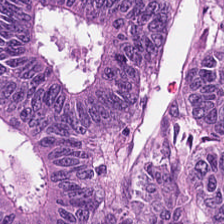H&E-stained tissue section showing malignant epithelium.
